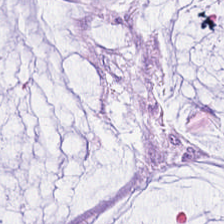FFPE tissue section · H&E stain — Mucus.
